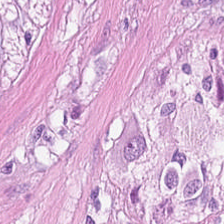Stain: H&E stain.
Tissue type: smooth-muscle tissue.
